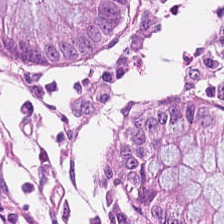224×224 px patch · H&E.
Non-neoplastic colon mucosa.
